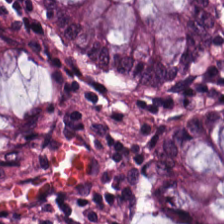H&E — {"tissue_type": "normal colon mucosa"}
